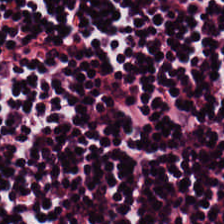H&E-stained tissue section. Q: What does this patch show?
A: The field shows lymphoid infiltrate.
